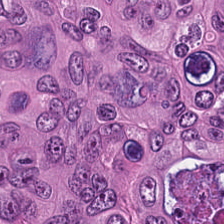Hematoxylin and eosin. Predominant tissue = tumor epithelium.
